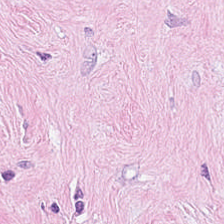Hematoxylin and eosin; whole-slide-image patch — The predominant tissue is tumor-associated stroma.
